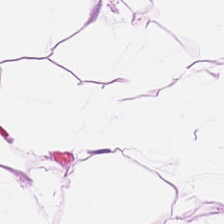Brightfield. H&E stain. 0.5 µm per pixel. Tissue class: adipose tissue.
